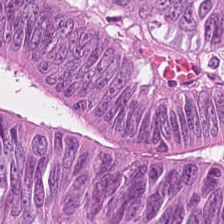H&E.
Q: What tissue type is shown here?
A: This is colorectal adenocarcinoma epithelium.
